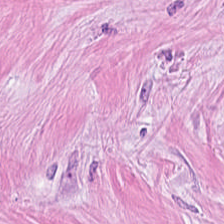H&E.
The predominant tissue is tumor-associated stroma.
